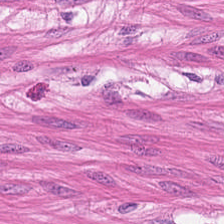The predominant tissue is smooth muscle.
